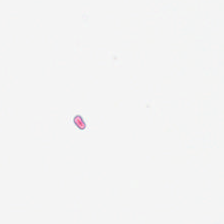H&E — This patch shows background (no tissue).
